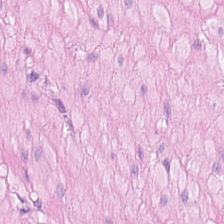H&E-stained tissue section. WSI patch — Tissue class — smooth muscle.
